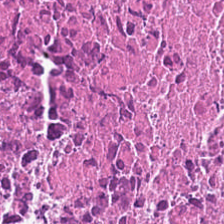Hematoxylin and eosin; FFPE — Q: What is the predominant tissue type?
A: The field shows necrotic debris.
